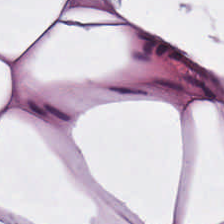Q: What is shown here?
A: This is fat tissue.
